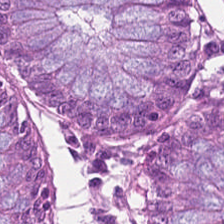Stain: H&E-stained tissue section.
Tissue: normal colonic mucosa.
